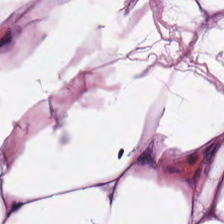Formalin-fixed paraffin-embedded section · WSI patch · H&E-stained tissue section.
The tissue here is adipose.
